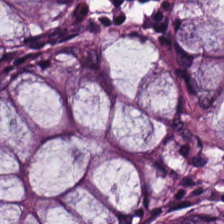Stain: hematoxylin-and-eosin stained section.
Tissue: non-neoplastic colon mucosa.
